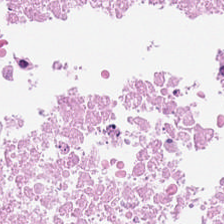Tissue type: debris.
